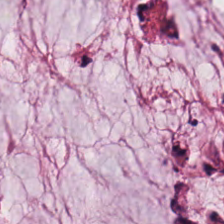Q: What tissue type is shown here?
A: The field shows mucin.
